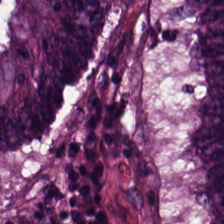0.5 µm/px; H&E stain — Colorectal adenocarcinoma.
